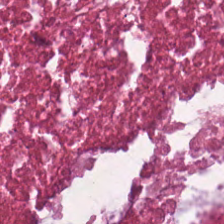H&E-stained tissue section showing debris.
